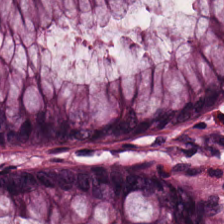The tissue is normal colon mucosa.
